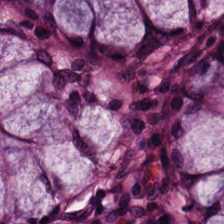Formalin-fixed paraffin-embedded section. Hematoxylin-and-eosin stained section. {"tissue_type": "benign colonic mucosa"}
